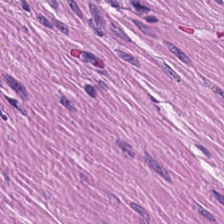Hematoxylin and eosin. FFPE tissue section. Q: What does this patch show?
A: The field shows muscularis.
